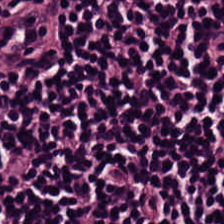Stain: H&E stain.
Preparation: FFPE tissue section.
Tissue: lymphocytes.
